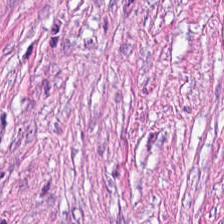H&E stain.
Tumor-associated stroma.
